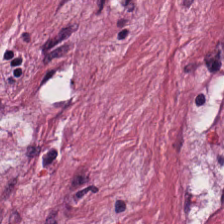Predominant tissue — cancer-associated stroma.
